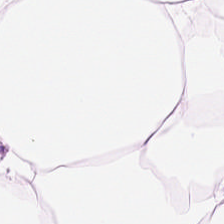0.5 microns per pixel; brightfield microscopy; H&E stain — Classification: fat tissue.
